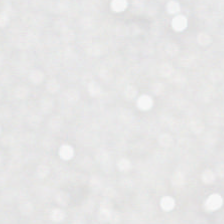Brightfield; hematoxylin and eosin — Q: What does this patch show?
A: The field shows empty background.
